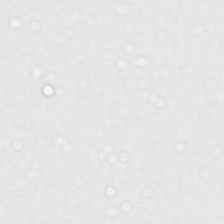224×224 px tile · FFPE · hematoxylin and eosin.
No tissue present; background only.
